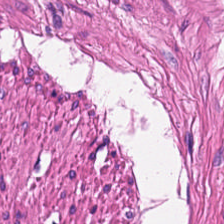H&E. {"tissue_type": "smooth muscle"}
